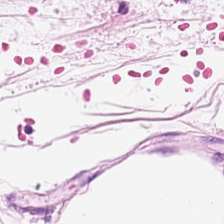Showing adipose tissue.
